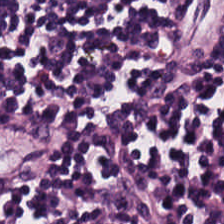H&E.
Predominantly lymphocytes.
